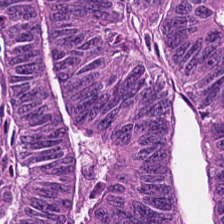H&E — colorectal adenocarcinoma epithelium.
